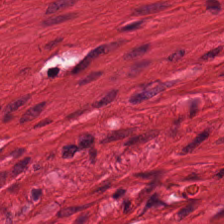H&E-stained tissue section. This field is smooth-muscle tissue.
